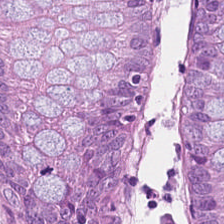Formalin-fixed paraffin-embedded section · H&E stain. This patch shows benign colonic mucosa.
